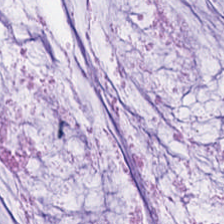H&E stain. Tissue class: extracellular mucin.
